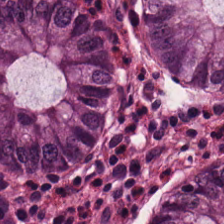Whole-slide-image patch. Hematoxylin-and-eosin stained section — Q: What type of tissue is this?
A: Normal colon mucosa.
